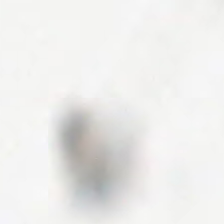Stain: H&E.
Content: empty background.
